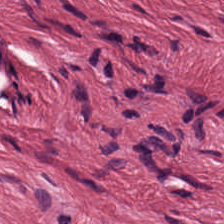Hematoxylin-and-eosin stained section · FFPE · 224×224 pixel tile. The tissue type is tumor stroma.
